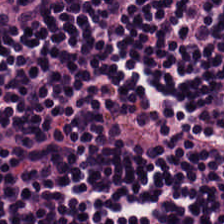Stain: H&E stain.
Preparation: FFPE.
Tissue class: lymphocytic infiltrate.
